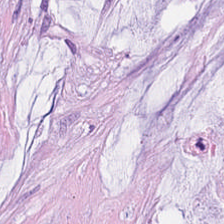Hematoxylin and eosin.
Showing extracellular mucin.
